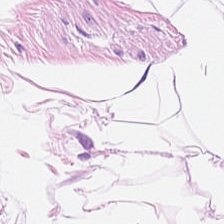224×224 px tile. H&E stain.
Fat tissue.
